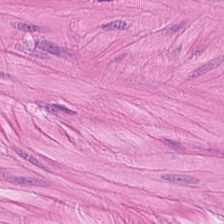H&E-stained tissue section. Showing smooth muscle.
